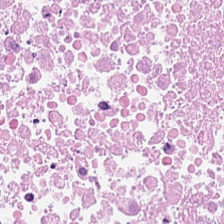H&E stain.
The predominant tissue is necrotic debris.
